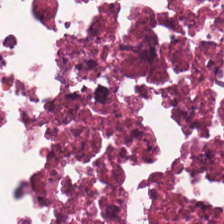H&E stain.
The tissue here is cellular debris.
